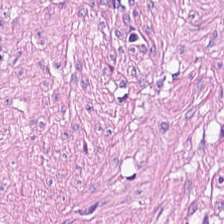H&E. Predominant tissue = smooth-muscle tissue.
